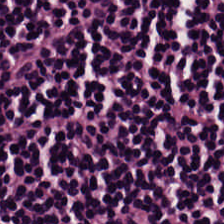Impression — lymphocytes.
